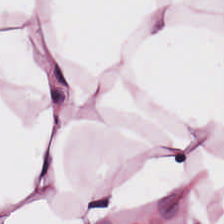20× equivalent magnification; hematoxylin-and-eosin stained section — The classification is adipose.
